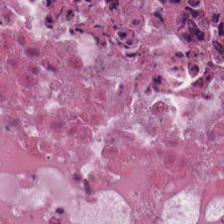WSI patch. H&E stain.
Q: Classify this patch.
A: Necrotic debris.
